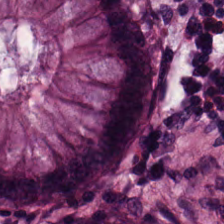Stain: H&E stain.
Preparation: formalin-fixed paraffin-embedded section.
Resolution: 0.5 microns per pixel.
Tissue type: non-neoplastic colon mucosa.
